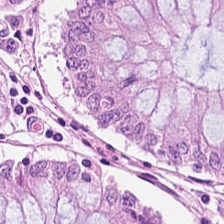H&E · 0.5 µm/px · 224×224 px patch. {"tissue_type": "normal colonic mucosa"}
